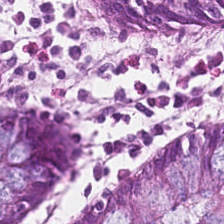H&E-stained tissue section · FFPE — Q: What does this patch show?
A: This is non-neoplastic colon mucosa.
